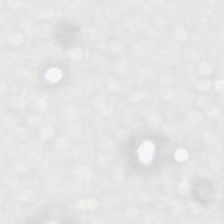H&E stain. This field is background (no tissue).
